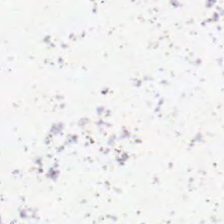WSI patch. Formalin-fixed paraffin-embedded section. H&E. Field content: background (no tissue).
